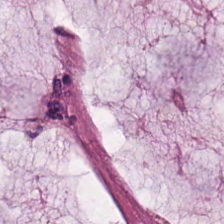H&E-stained tissue section. Brightfield microscopy.
Mucus.
